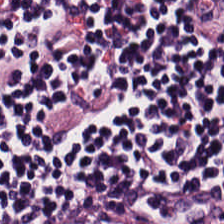20× equivalent magnification. 224×224 pixel tile. H&E stain — Predominantly lymphocytes.
